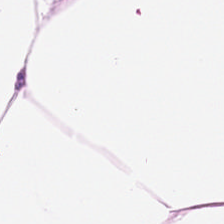Stain: hematoxylin-and-eosin stained section.
Tile size: 224×224 pixel tile.
Tissue type: fat tissue.
